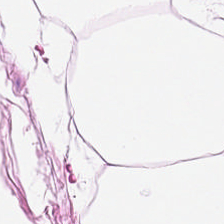Tissue: adipose tissue.
